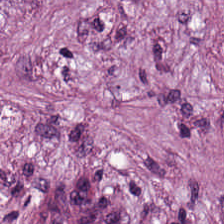FFPE; 224×224 px patch; H&E — The tissue is cancer-associated stroma.
